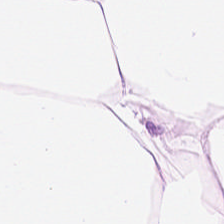Stain: hematoxylin-and-eosin stained section.
Tile size: 224×224 px patch.
Preparation: FFPE.
Classification: adipose.
